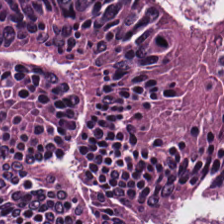H&E — malignant epithelium.
